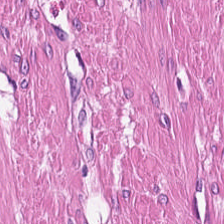H&E — Tissue type: smooth muscle.
